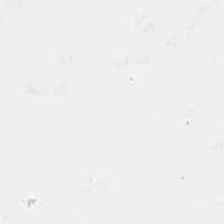The classification is no tissue.
